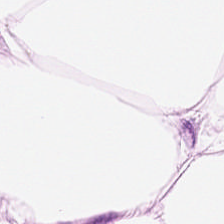Predominant tissue — adipocytes.
